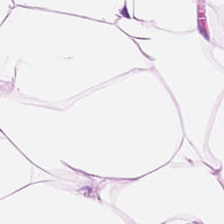H&E stain · 0.5 µm per pixel · 224×224 pixel tile.
Tissue type: adipose.
